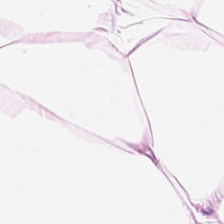Stain: hematoxylin-and-eosin stained section.
Tissue: adipose.
